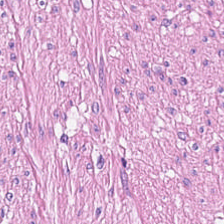224×224 px tile; H&E-stained tissue section. This patch shows smooth-muscle tissue.
